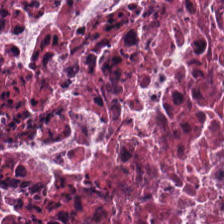H&E stain.
Finding → necrotic debris.
